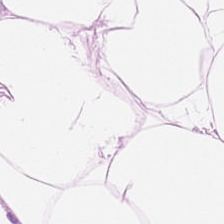0.5 µm/px; hematoxylin and eosin — The tissue is adipose.
